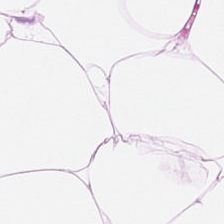Whole-slide-image patch · hematoxylin and eosin. Predominant tissue — adipose.
